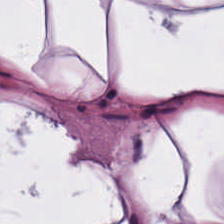H&E stain — Classification — adipose.
